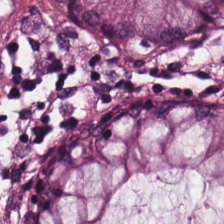Tissue: normal colon mucosa.
